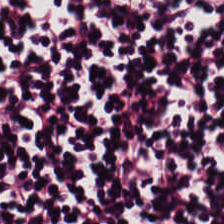H&E — Showing lymphocyte aggregate.
